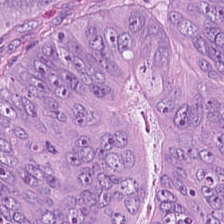224×224 pixel tile · H&E-stained tissue section — The tissue is tumor epithelium.
